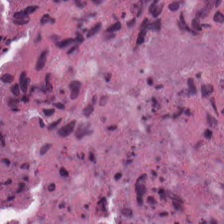H&E. 224×224 pixel tile. Showing necrotic debris.
